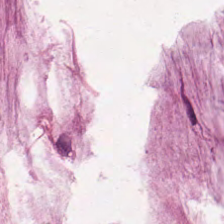Q: What is shown in this field?
A: This is mucus.
